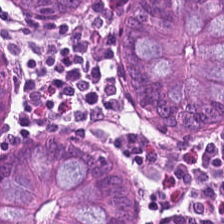Non-neoplastic colon mucosa.
